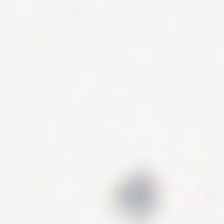Q: What is shown here?
A: This is empty background.
